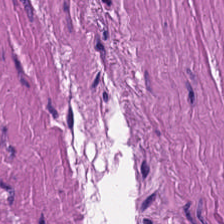H&E stain.
Q: Classify this patch.
A: The field shows smooth muscle.
